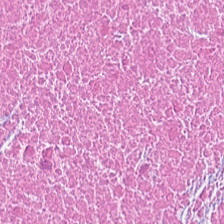H&E stain — Q: What does this patch show?
A: It is cellular debris.
